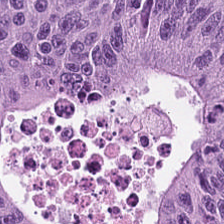Impression → colorectal adenocarcinoma epithelium.
